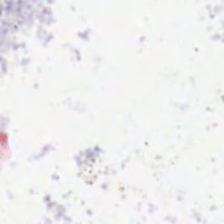Brightfield microscopy · H&E stain · FFPE.
Impression → background.
